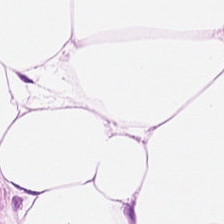Hematoxylin and eosin.
The tissue here is adipose.
